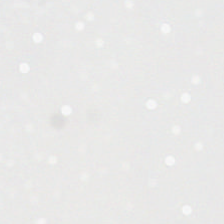0.5 µm/px · H&E-stained tissue section.
Histology — no tissue.
